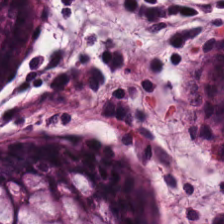20× equivalent magnification · H&E stain.
Impression → normal colon mucosa.
